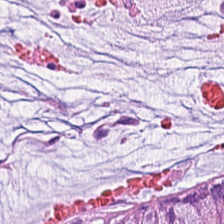Predominant tissue = mucin.
